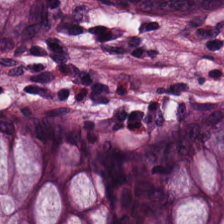H&E-stained tissue section.
The tissue here is normal colon mucosa.
